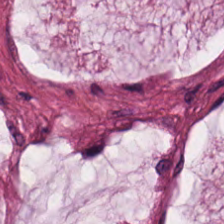H&E stain · 224×224 px tile. Predominant tissue = extracellular mucin.
